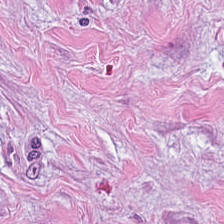H&E · brightfield · formalin-fixed paraffin-embedded section — The predominant tissue is cancer-associated stroma.
